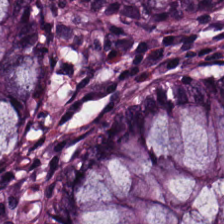20× equivalent magnification · H&E.
This patch shows benign colonic mucosa.
